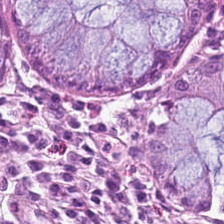H&E-stained tissue section. Finding → benign colonic mucosa.
